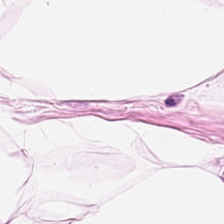Q: What is shown here?
A: The field shows adipose.
